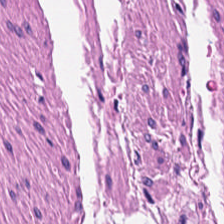The tissue class is smooth muscle.
